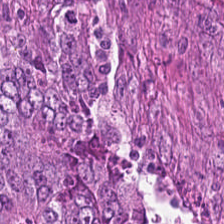224×224 px patch; H&E-stained tissue section; formalin-fixed paraffin-embedded section — Showing colorectal adenocarcinoma epithelium.
